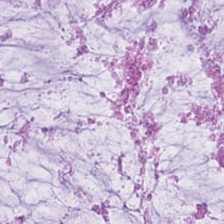{"tissue_type": "extracellular mucin"}
